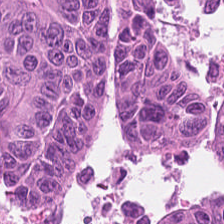H&E. Showing colorectal adenocarcinoma.
